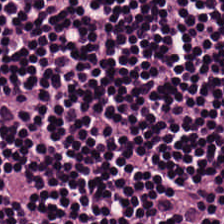Tissue class — lymphoid infiltrate.
